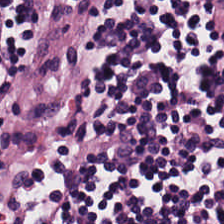Whole-slide-image patch; hematoxylin-and-eosin stained section.
Predominant tissue: lymphocytic infiltrate.
